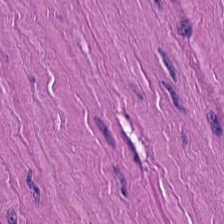Hematoxylin-and-eosin stained section · FFPE tissue section — This field is smooth-muscle tissue.
